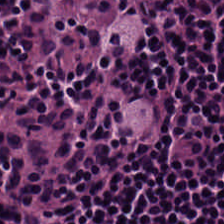Hematoxylin and eosin. WSI patch — This field is lymphocyte aggregate.
